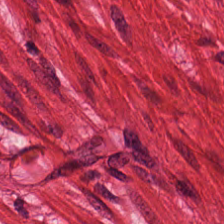Smooth-muscle tissue.
